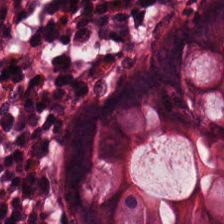Stain: H&E.
Tissue class: non-neoplastic colon mucosa.
